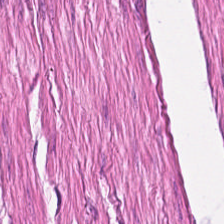224×224 px patch · H&E · 0.5 µm per pixel.
Showing muscularis.
